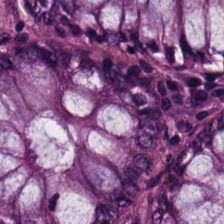Hematoxylin and eosin.
This patch shows normal colon mucosa.
